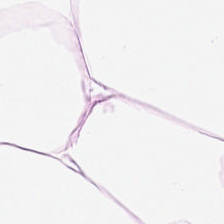Hematoxylin and eosin — Tissue: adipose.
